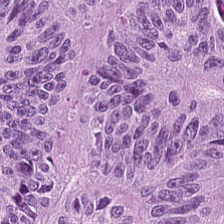H&E stain. Brightfield microscopy.
Q: What is shown here?
A: This is adenocarcinoma.
